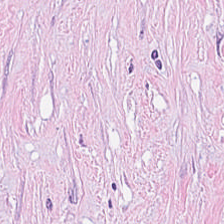Stain: hematoxylin-and-eosin stained section.
Tissue type: cancer-associated stroma.
